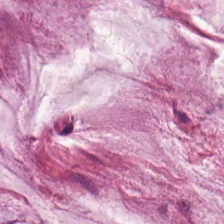0.5 µm/px; FFPE tissue section; hematoxylin-and-eosin stained section — Q: What does this patch show?
A: The field shows mucin.
